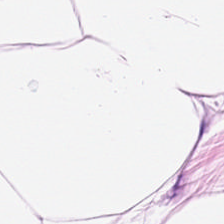H&E. Impression → fat tissue.
